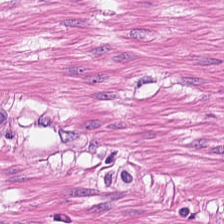H&E · 0.5 microns per pixel — Finding → muscularis.
